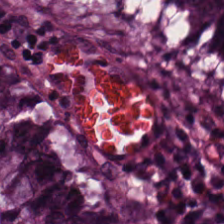H&E stain · 0.5 µm per pixel.
Q: What is shown here?
A: Normal colonic mucosa.
